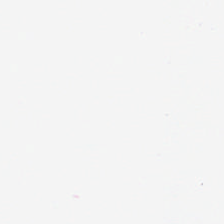Background — no tissue in this field.
